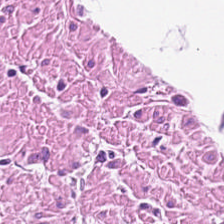Hematoxylin and eosin — Predominantly muscularis.
